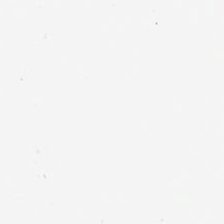Hematoxylin-and-eosin stained section. Q: What is shown here?
A: The field shows no tissue.
